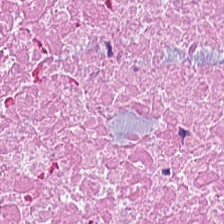H&E stain. Showing cellular debris.
